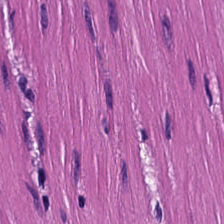Hematoxylin and eosin — Smooth-muscle tissue.
